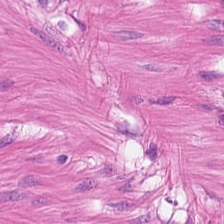0.5 µm per pixel. H&E-stained tissue section — The classification is smooth muscle.
